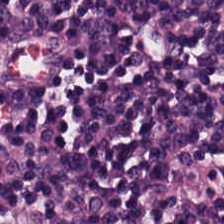0.5 µm/px · hematoxylin-and-eosin stained section. Predominantly lymphocytes.
